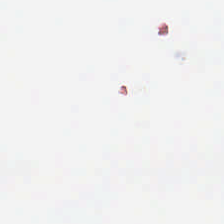H&E · brightfield.
Impression → background.
